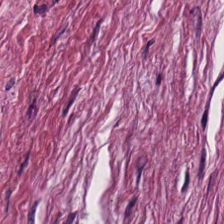H&E-stained tissue section.
The tissue class is desmoplastic stroma.
